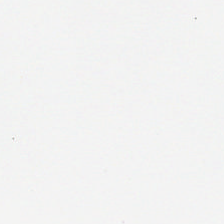Hematoxylin and eosin · whole-slide-image patch.
Classification = background.
